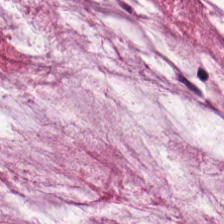Hematoxylin and eosin. This field is extracellular mucin.
